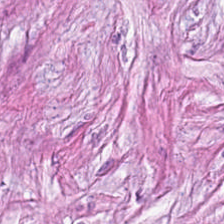H&E stain — This patch shows tumor-associated stroma.
